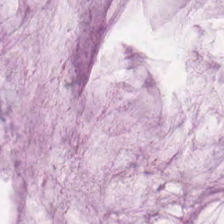Hematoxylin and eosin · formalin-fixed paraffin-embedded section · 224×224 pixel tile.
Histology — mucin.
